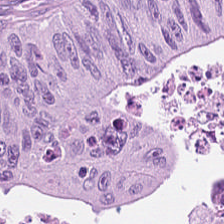224×224 px tile; hematoxylin-and-eosin stained section. Predominantly colorectal adenocarcinoma.
